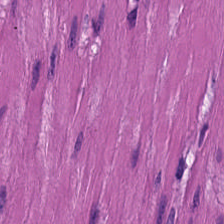Classification = smooth muscle.
